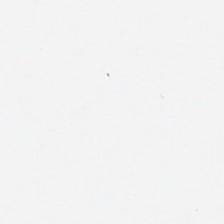This patch shows no tissue.
